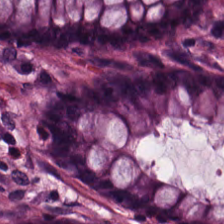Finding — normal colonic mucosa.
